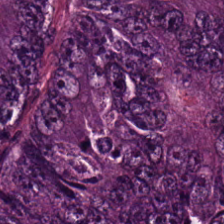WSI patch · 224×224 px patch · H&E.
The tissue type is adenocarcinoma.
